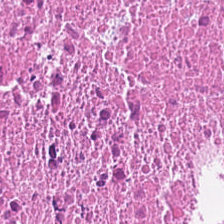H&E stain.
Showing necrotic debris.
